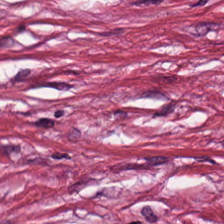Hematoxylin-and-eosin stained section — The tissue here is tumor-associated stroma.
